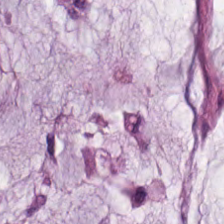H&E. 224×224 pixel tile.
This field is extracellular mucin.
